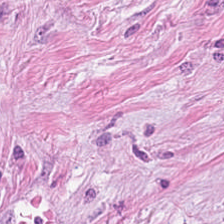Hematoxylin-and-eosin stained section — The predominant tissue is tumor-associated stroma.
